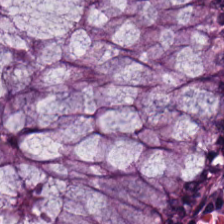The tissue here is non-neoplastic colon mucosa.
